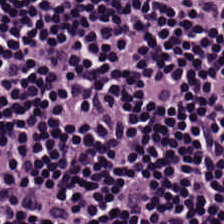Stain: hematoxylin-and-eosin stained section.
Tissue: lymphocyte aggregate.
